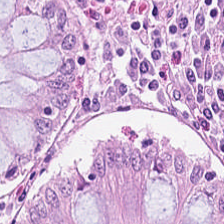{"tissue_type": "normal colonic mucosa"}
